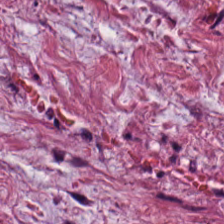Showing tumor stroma.
